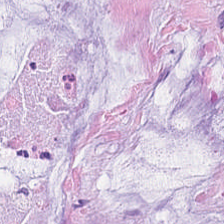Stain: hematoxylin-and-eosin stained section.
Resolution: 0.5 microns per pixel.
Tissue class: mucus.
